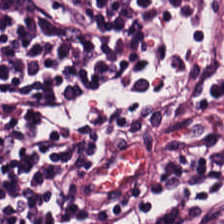Stain: hematoxylin and eosin.
Resolution: 0.5 microns per pixel.
Predominant tissue: lymphoid infiltrate.
